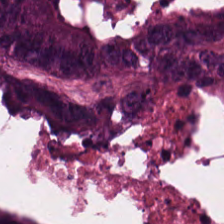H&E.
Q: What type of tissue is this?
A: The field shows malignant epithelium.
